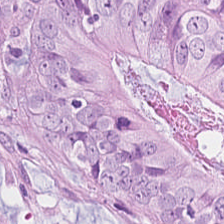Q: What tissue is shown?
A: It is adenocarcinoma.
